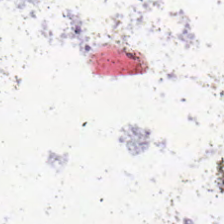H&E stain.
Empty field — background.
